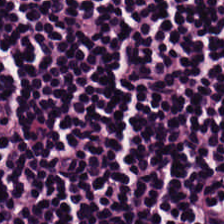H&E — The tissue here is lymphocyte aggregate.
